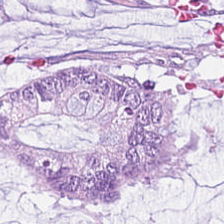The predominant tissue is extracellular mucin.
